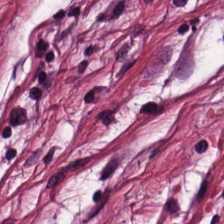224×224 px tile; hematoxylin-and-eosin stained section — The tissue here is tumor-associated stroma.
